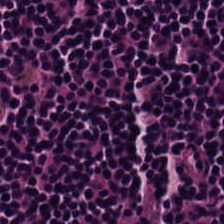H&E · formalin-fixed paraffin-embedded section.
This patch shows lymphocytic infiltrate.
